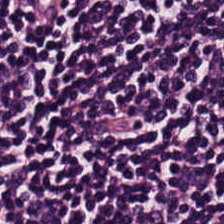H&E. 224×224 pixel tile. Brightfield microscopy.
Classification = lymphocyte aggregate.
